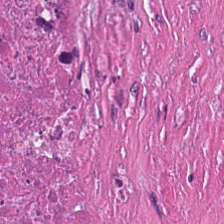Q: What is the predominant tissue type?
A: Debris.
